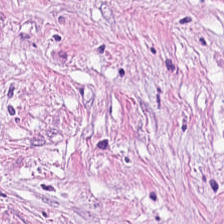{"tissue_type": "tumor-associated stroma"}
